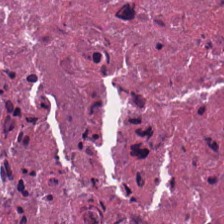H&E stain — Predominant tissue = cellular debris.
